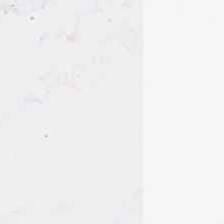H&E stain. This field is background (no tissue).
